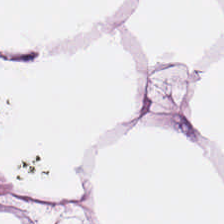Stain: H&E-stained tissue section.
Tissue class: fat tissue.
